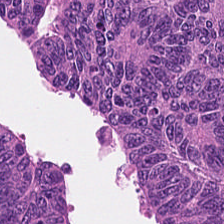Formalin-fixed paraffin-embedded section · hematoxylin and eosin · 224×224 px patch.
Tissue type — adenocarcinoma.
